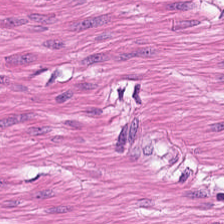Whole-slide-image patch · H&E — Predominantly smooth-muscle tissue.
